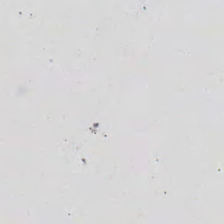Q: What does this patch show?
A: The field shows no tissue.
